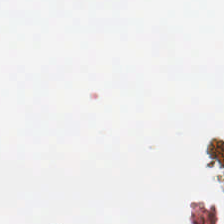224×224 pixel tile; hematoxylin and eosin.
Background — no tissue in this field.
